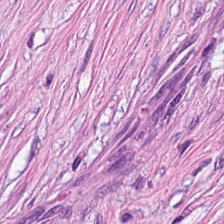Classification: tumor-associated stroma.
